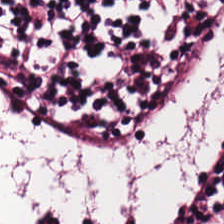Hematoxylin and eosin.
The predominant tissue is lymphocytes.
